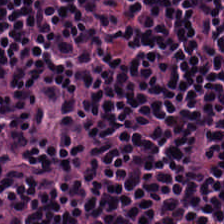H&E stain.
Q: What is shown in this field?
A: This is lymphocytic infiltrate.
